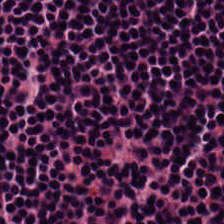Tissue type = lymphocyte aggregate.
